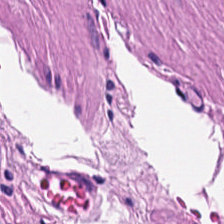Tissue class: smooth muscle.
